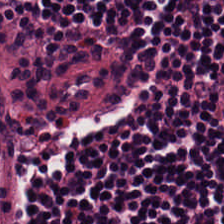FFPE tissue section · hematoxylin-and-eosin stained section.
The classification is lymphocytic infiltrate.
